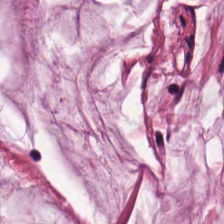H&E stain.
Predominantly mucin.
